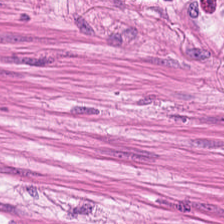H&E stain. 20× equivalent magnification. Predominantly muscularis.
